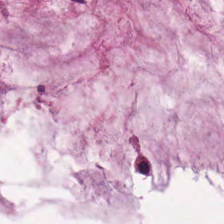FFPE. H&E-stained tissue section — Q: What tissue type is shown here?
A: This is extracellular mucin.
